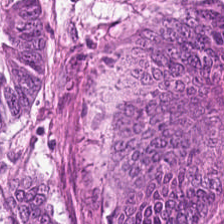Whole-slide-image patch. Hematoxylin and eosin. Q: What does this patch show?
A: It is adenocarcinoma.
